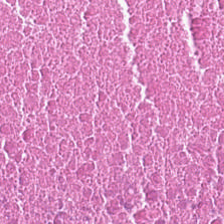Formalin-fixed paraffin-embedded section · H&E stain. {"tissue_type": "necrotic debris"}
